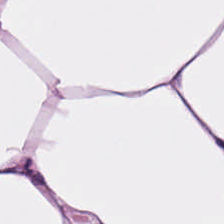Hematoxylin and eosin — Q: What is shown in this field?
A: The field shows adipose.
